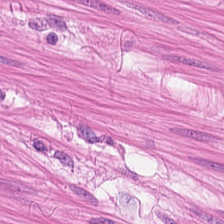Q: What type of tissue is this?
A: It is smooth muscle.
